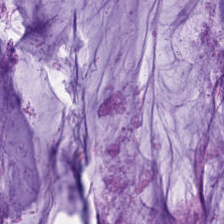H&E-stained tissue section. Q: What is shown in this field?
A: Mucin.
